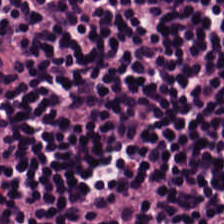Hematoxylin-and-eosin stained section.
This field is lymphocyte aggregate.
